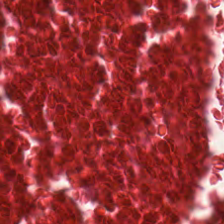H&E stain · 224×224 px tile — {"tissue_type": "necrotic debris"}
